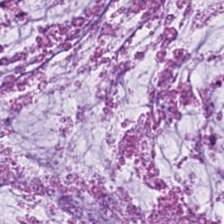H&E stain — Finding → mucin.
